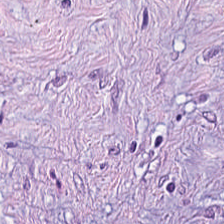0.5 microns per pixel. H&E stain. Whole-slide-image patch. Predominant tissue — tumor-associated stroma.
